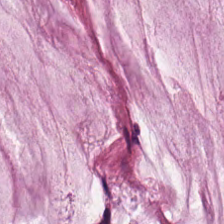Hematoxylin-and-eosin stained section. Mucus.
